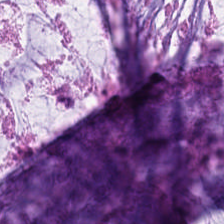Hematoxylin-and-eosin stained section.
Finding → mucin.
